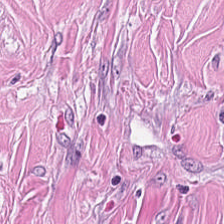Whole-slide-image patch. 0.5 µm/px. H&E stain. Classification = tumor stroma.
